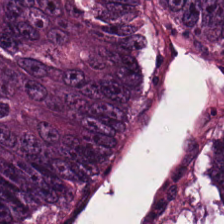H&E · 0.5 µm per pixel.
This field is adenocarcinoma.
